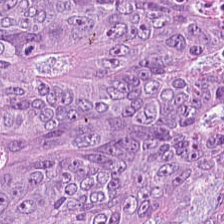{"tissue_type": "colorectal adenocarcinoma"}
